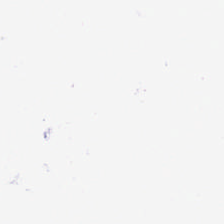H&E — Finding — background.
